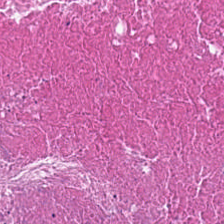H&E-stained tissue section. Tissue class = necrotic debris.
